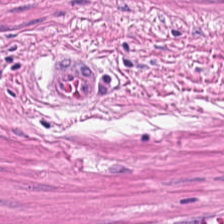Stain: hematoxylin and eosin.
Classification: smooth muscle.
